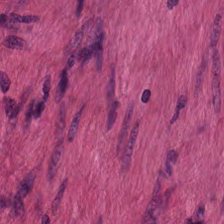H&E — smooth muscle.
